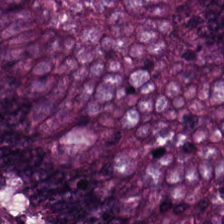Hematoxylin-and-eosin section: adenocarcinoma.
